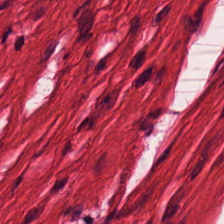Hematoxylin and eosin — Impression → smooth-muscle tissue.
